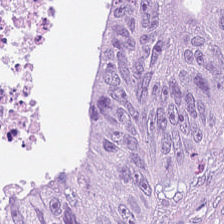Whole-slide-image patch · hematoxylin and eosin · 224×224 pixel tile. Q: Identify the tissue.
A: Malignant epithelium.
